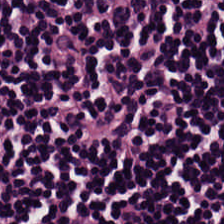Stain: H&E stain.
Tissue: lymphocytes.
